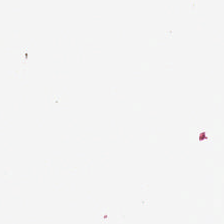Brightfield; formalin-fixed paraffin-embedded section; H&E stain. Classification: no tissue.
